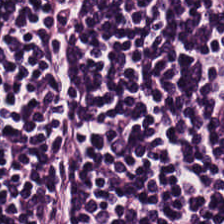H&E — Tissue type = lymphoid infiltrate.
